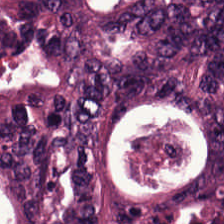H&E.
Colorectal adenocarcinoma epithelium.
